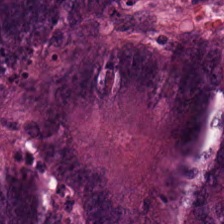This field is tumor epithelium.
